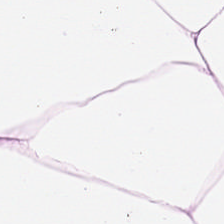Q: Identify the tissue.
A: It is adipose tissue.
